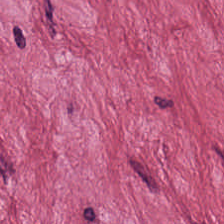H&E — Tissue — cancer-associated stroma.
